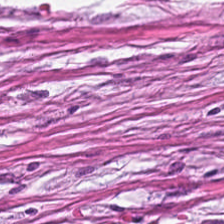WSI patch · FFPE · H&E. Tissue class = tumor-associated stroma.
